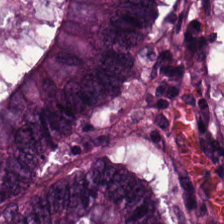Tissue class — adenocarcinoma.
